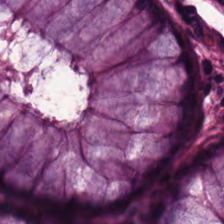H&E stain — Non-neoplastic colon mucosa.
